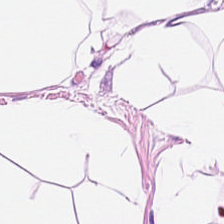224×224 px patch; H&E stain.
Q: What tissue type is shown here?
A: Adipose.
